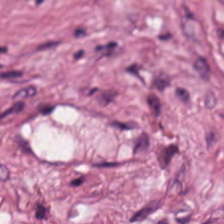The tissue here is desmoplastic stroma.
